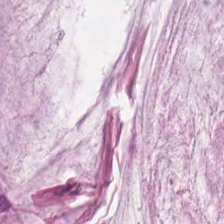Stain: H&E-stained tissue section.
Acquisition: brightfield.
Preparation: FFPE.
Classification: mucin.
